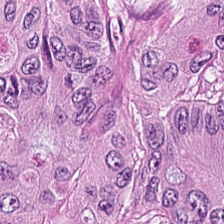H&E-stained section; the field shows tumor epithelium.
